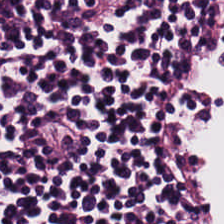FFPE. H&E-stained tissue section — This field is lymphocyte aggregate.
